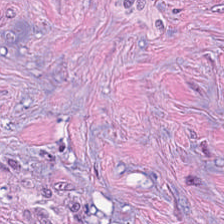H&E stain. Q: Classify this patch.
A: Tumor stroma.
